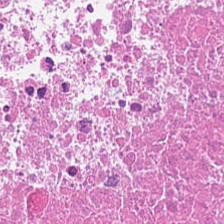224×224 pixel tile · H&E stain · formalin-fixed paraffin-embedded section — Impression → debris.
